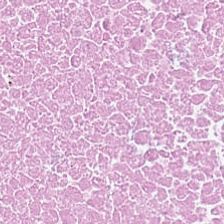Stain: H&E stain.
Tissue type: necrotic debris.
